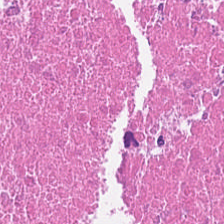H&E stain — Q: What type of tissue is this?
A: Debris.
